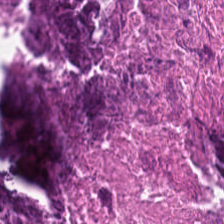The tissue class is necrotic debris.
